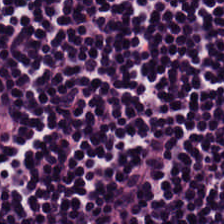H&E-stained tissue section. Lymphoid infiltrate.
